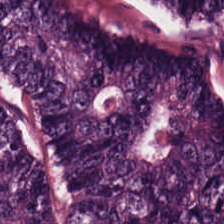FFPE tissue section; H&E stain — This field is tumor epithelium.
